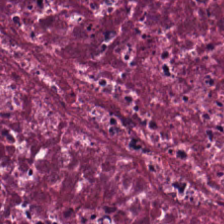224×224 px patch. H&E. Brightfield — The tissue type is cellular debris.
